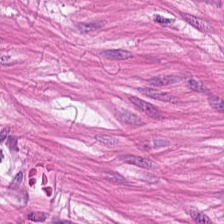H&E patch showing smooth-muscle tissue.
